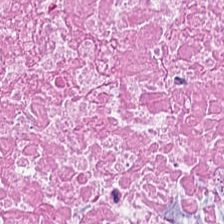Hematoxylin and eosin; 224×224 pixel tile. This field is debris.
